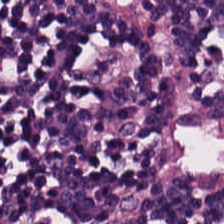H&E stain — The predominant tissue is lymphocytic infiltrate.
